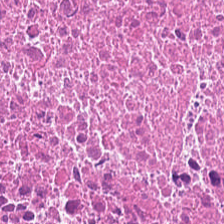Brightfield microscopy. Hematoxylin-and-eosin stained section.
Histology — necrotic debris.
